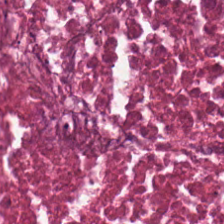Formalin-fixed paraffin-embedded section · hematoxylin and eosin — {"tissue_type": "necrotic debris"}
